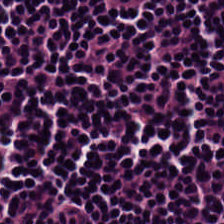Predominant tissue = lymphocytic infiltrate.
